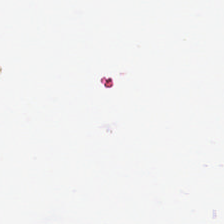Finding → no tissue.
